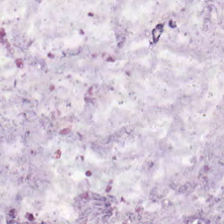Hematoxylin and eosin · FFPE tissue section · 224×224 px patch.
Tissue type: mucin.
